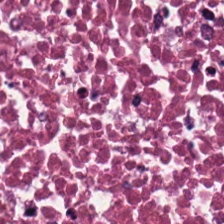Hematoxylin and eosin. 224×224 px patch. This patch shows necrotic debris.
